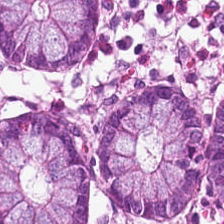Tissue type = non-neoplastic colon mucosa.
